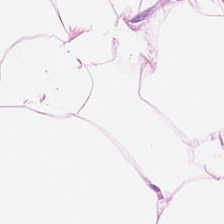H&E — Adipose.
